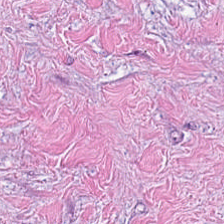224×224 px tile. H&E — Q: Classify this patch.
A: It is desmoplastic stroma.
